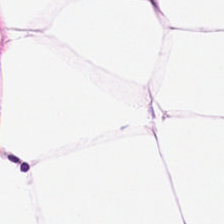H&E stain — {"tissue_type": "adipose tissue"}
